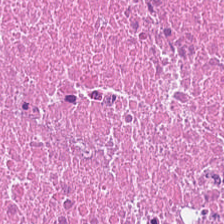Predominant tissue: debris.
